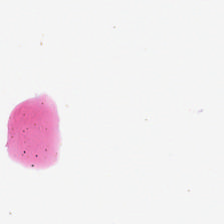Hematoxylin and eosin; 224×224 pixel tile.
Classification: background.
